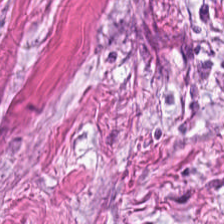Stain: H&E-stained tissue section.
Tissue type: tumor-associated stroma.
